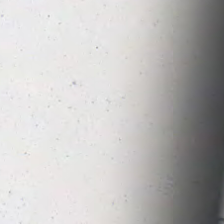Stain: H&E-stained tissue section.
Classification: no tissue.
